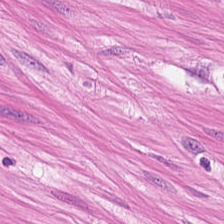20× equivalent magnification; hematoxylin and eosin.
Classification — muscularis.
